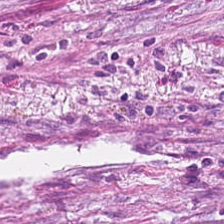H&E-stained tissue section.
The tissue here is tumor stroma.
